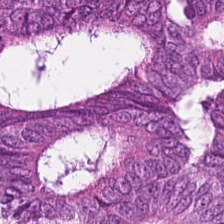224×224 px tile. H&E-stained tissue section.
This patch shows colorectal adenocarcinoma.
